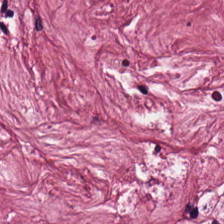H&E stain.
Tissue = cancer-associated stroma.
